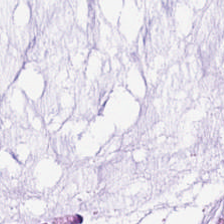Brightfield microscopy · formalin-fixed paraffin-embedded section · hematoxylin and eosin. Predominantly extracellular mucin.
